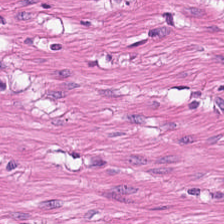Whole-slide-image patch; H&E; 0.5 µm per pixel — {"tissue_type": "muscularis"}
